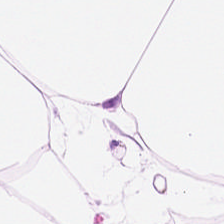Q: What tissue type is shown here?
A: This is adipocytes.
